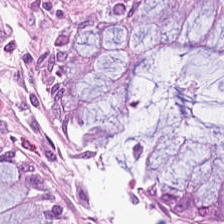H&E — The predominant tissue is benign colonic mucosa.
